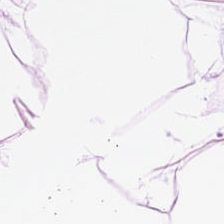H&E; brightfield microscopy; formalin-fixed paraffin-embedded section. Showing fat tissue.
